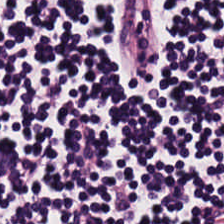H&E-stained section; the field shows lymphoid infiltrate.
